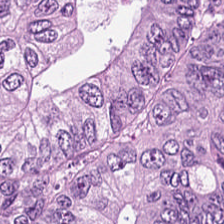Hematoxylin-and-eosin stained section.
Predominant tissue = colorectal adenocarcinoma.
